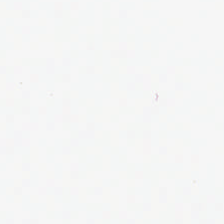Hematoxylin and eosin.
This patch shows empty background.
